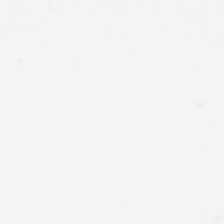Hematoxylin-and-eosin stained section. Classification: background.
